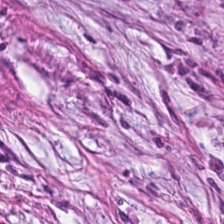Hematoxylin-and-eosin stained section.
Q: What tissue is shown?
A: It is tumor-associated stroma.
